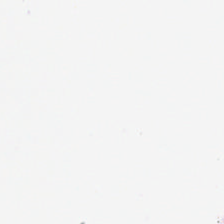Hematoxylin and eosin; 224×224 pixel tile; 20× equivalent magnification — Impression → background (no tissue).
